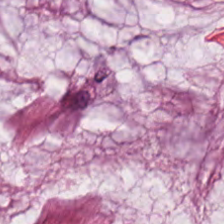H&E-stained tissue section.
The tissue class is extracellular mucin.
